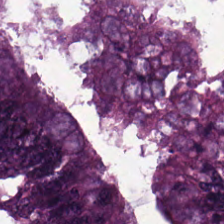H&E stain. Predominant tissue: tumor epithelium.
